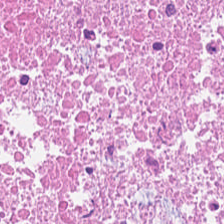Hematoxylin-and-eosin stained section. Cellular debris.
